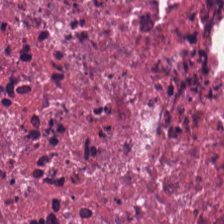Hematoxylin and eosin; 224×224 px tile.
Impression — cellular debris.
